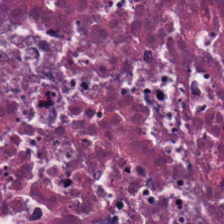20× equivalent magnification; formalin-fixed paraffin-embedded section; H&E stain.
Q: What is the predominant tissue type?
A: This is necrotic debris.
